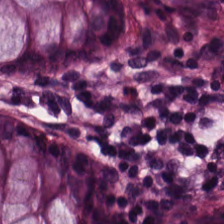Tissue — normal colon mucosa.
